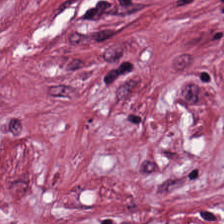Hematoxylin and eosin · FFPE — The predominant tissue is tumor stroma.
